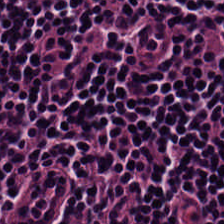Predominant tissue — lymphocyte aggregate.
